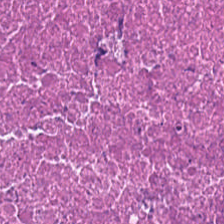FFPE tissue section · 0.5 µm/px · H&E — Tissue = cellular debris.
